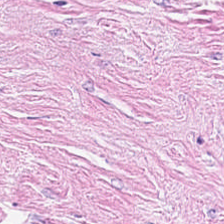Hematoxylin-and-eosin stained section. Tissue class = tumor-associated stroma.
